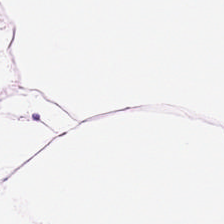Hematoxylin-and-eosin stained section. Q: What tissue type is shown here?
A: It is adipocytes.
